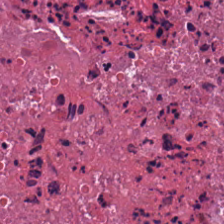224×224 px tile; H&E; FFPE. Q: What is shown in this field?
A: This is debris.
